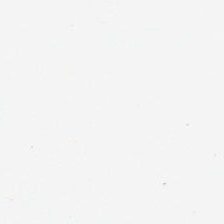Q: Classify this patch.
A: It is no tissue.
